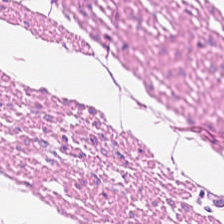Impression → muscularis.
